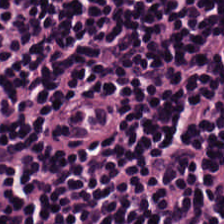FFPE · brightfield · H&E stain — Predominantly lymphocyte aggregate.
